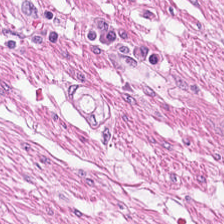Stain: H&E-stained tissue section.
Classification: muscularis.
